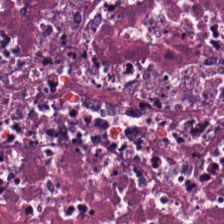Brightfield · 224×224 px tile · H&E stain.
Tissue class = cellular debris.
